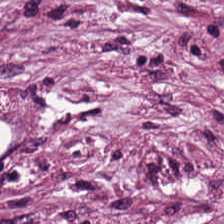FFPE tissue section. H&E stain. Q: What does this patch show?
A: Tumor-associated stroma.
